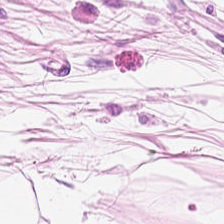224×224 pixel tile. H&E-stained tissue section — This patch shows adipose tissue.
